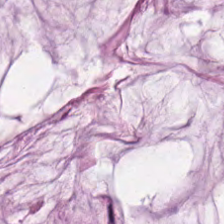Hematoxylin-and-eosin stained section. Formalin-fixed paraffin-embedded section.
Q: What is shown here?
A: The field shows mucus.
